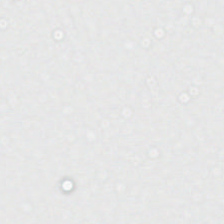Hematoxylin and eosin · brightfield.
Field content: empty background.
